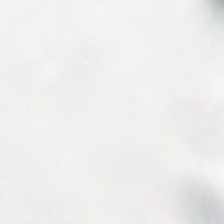Field content: no tissue.
